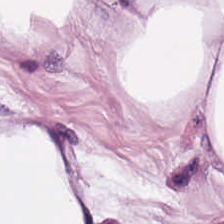H&E — adipose tissue.
